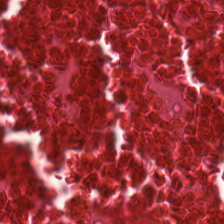Brightfield microscopy. Hematoxylin and eosin.
Q: What tissue type is shown here?
A: This is debris.
